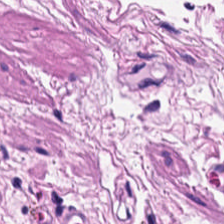FFPE; H&E.
Q: What type of tissue is this?
A: Smooth muscle.
